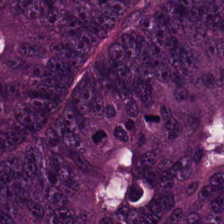Stain: H&E-stained tissue section.
Predominant tissue: colorectal adenocarcinoma epithelium.
